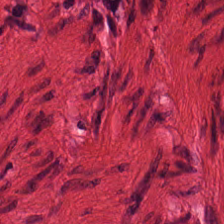224×224 px patch; formalin-fixed paraffin-embedded section; H&E-stained tissue section.
Q: What does this patch show?
A: It is smooth muscle.
